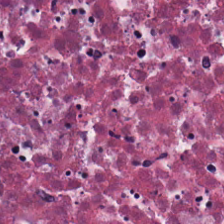H&E-stained tissue section. 0.5 µm per pixel.
Predominant tissue: necrotic debris.
